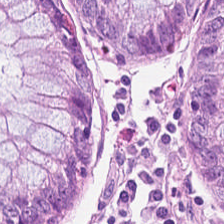WSI patch · formalin-fixed paraffin-embedded section · H&E stain.
Tissue type = non-neoplastic colon mucosa.
